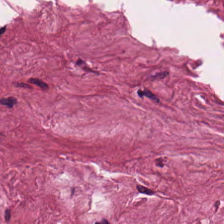0.5 µm per pixel; 224×224 px patch; H&E-stained tissue section. Desmoplastic stroma.
